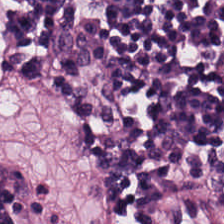Predominant tissue: lymphoid infiltrate.
